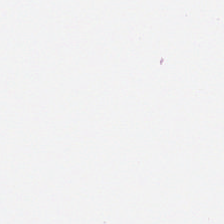Content = empty background.
